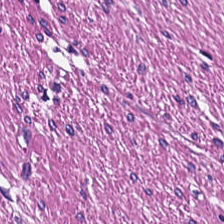H&E. This patch shows muscularis.
